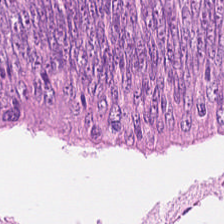WSI patch. 224×224 px patch. Hematoxylin and eosin — Predominantly malignant epithelium.
